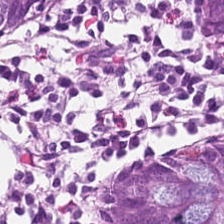H&E-stained tissue section. 0.5 µm per pixel.
Classification: benign colonic mucosa.
